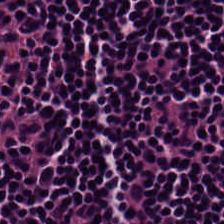Hematoxylin-and-eosin stained section — Histology — lymphoid infiltrate.
